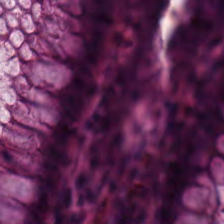H&E stain.
Impression — normal colon mucosa.
